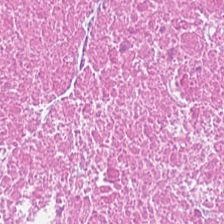Stain: H&E-stained tissue section.
Preparation: FFPE tissue section.
Predominant tissue: debris.
